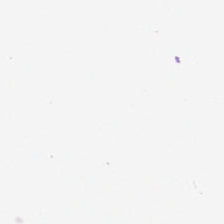Field content — no tissue.
